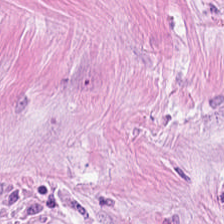224×224 pixel tile · H&E.
Q: Identify the tissue.
A: Desmoplastic stroma.
